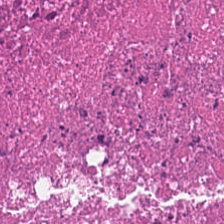Hematoxylin-and-eosin stained section · 0.5 µm/px · 224×224 px patch — The tissue class is cellular debris.
